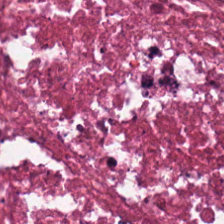Hematoxylin and eosin. 0.5 µm per pixel. Q: What tissue type is shown here?
A: Debris.
